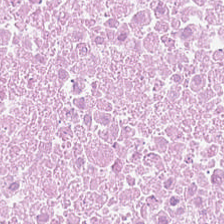Hematoxylin and eosin. Predominant tissue = cellular debris.
